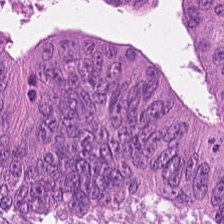0.5 µm/px · H&E-stained tissue section. Showing tumor epithelium.
